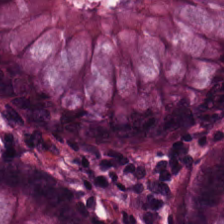20× equivalent magnification · hematoxylin-and-eosin stained section · brightfield.
{"tissue_type": "normal colon mucosa"}
